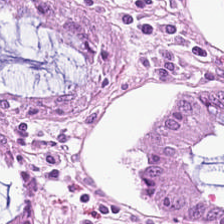224×224 px patch · H&E-stained tissue section.
Tissue type: benign colonic mucosa.
